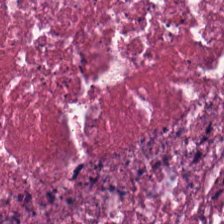H&E-stained tissue section.
Predominantly cellular debris.
